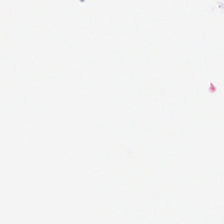Content = background.
